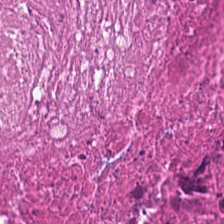Q: Identify the tissue.
A: Cellular debris.
